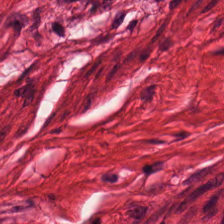Stain: H&E-stained tissue section.
Tissue: smooth muscle.
